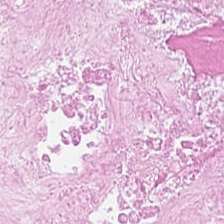Q: What does this patch show?
A: Debris.
